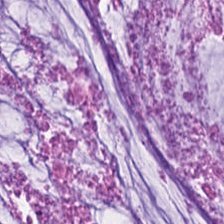H&E stain. 224×224 pixel tile. Histology — mucus.
